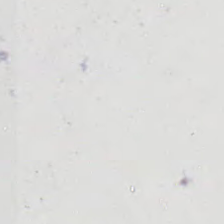Finding → background.
